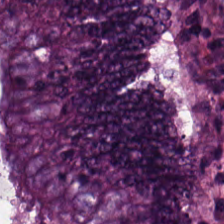H&E-stained tissue section · 0.5 µm/px — This patch shows malignant epithelium.
